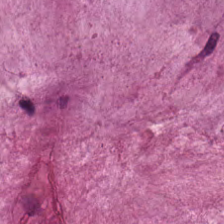H&E.
Predominantly mucus.
